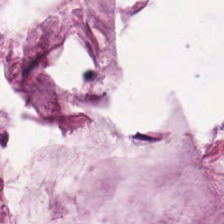Q: Classify this patch.
A: The field shows extracellular mucin.
